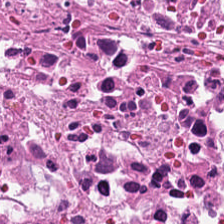H&E stain — The tissue here is necrotic debris.
